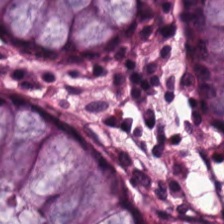224×224 px patch · hematoxylin and eosin · 0.5 µm/px — Q: What is shown here?
A: The field shows non-neoplastic colon mucosa.
